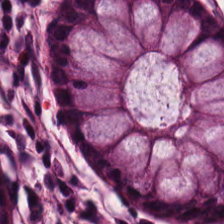Hematoxylin and eosin.
This patch shows non-neoplastic colon mucosa.
